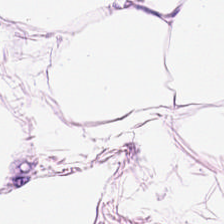H&E — The classification is fat tissue.
